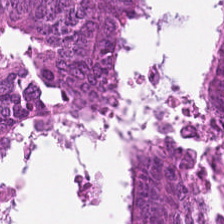Hematoxylin-and-eosin stained section. Q: What is shown here?
A: This is colorectal adenocarcinoma epithelium.
